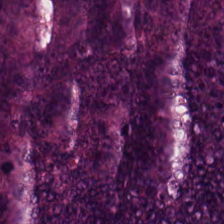Tissue — colorectal adenocarcinoma.
